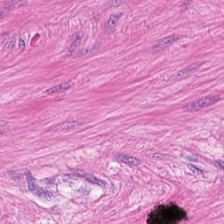224×224 pixel tile. 0.5 µm per pixel. Hematoxylin and eosin. This patch shows smooth muscle.
